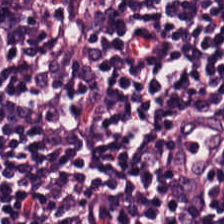Q: What is shown in this field?
A: It is lymphocyte aggregate.
